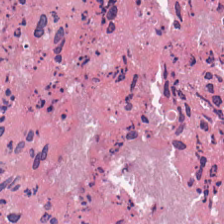FFPE tissue section. Hematoxylin-and-eosin stained section — Predominantly cellular debris.
